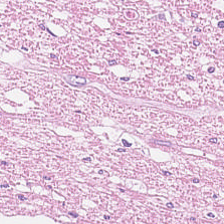Stain: hematoxylin-and-eosin stained section.
Tissue class: smooth-muscle tissue.
